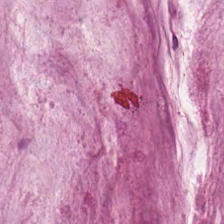H&E-stained tissue section — Q: Identify the tissue.
A: This is mucus.
